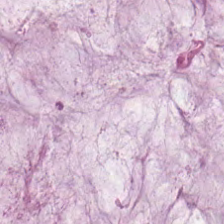This patch shows mucus.
